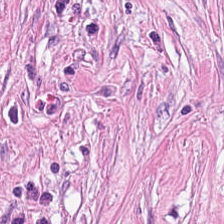The tissue here is cancer-associated stroma.
